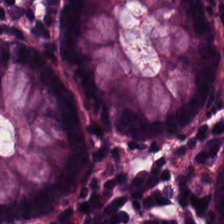H&E-stained section; the field shows non-neoplastic colon mucosa.
